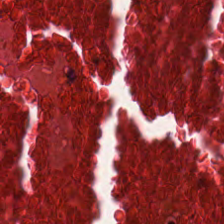Hematoxylin and eosin.
Tissue: necrotic debris.
